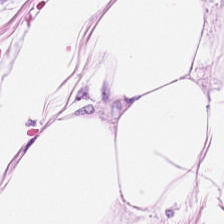224×224 px patch · H&E.
Predominant tissue — fat tissue.
